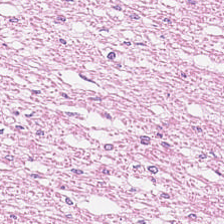Stain: H&E.
Acquisition: brightfield.
Resolution: 20× equivalent magnification.
Tissue: smooth muscle.
